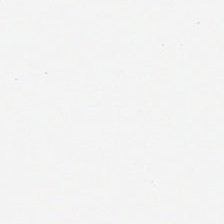Hematoxylin and eosin; 0.5 µm/px.
Q: What type of tissue is this?
A: The field shows adipose.
